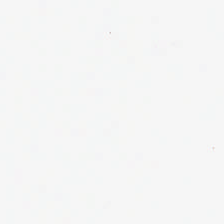Stain: H&E stain.
Acquisition: whole-slide-image patch.
Field content: no tissue.
